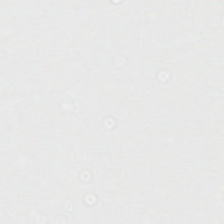20× equivalent magnification · H&E stain — Q: Classify this patch.
A: It is empty background.
